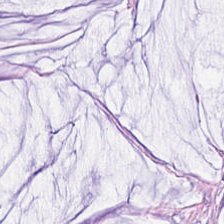Tissue type: mucus.
